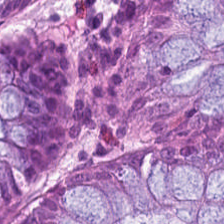Brightfield microscopy; formalin-fixed paraffin-embedded section; H&E stain. The tissue here is benign colonic mucosa.
